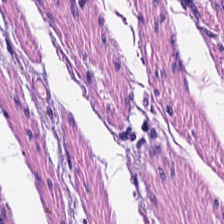H&E.
The tissue here is smooth muscle.
